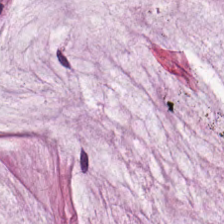H&E — Predominantly extracellular mucin.
